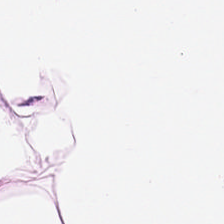20× equivalent magnification · H&E-stained tissue section. Predominant tissue: adipocytes.
